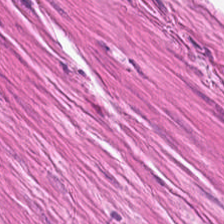Stain: H&E.
Tissue type: muscularis.
